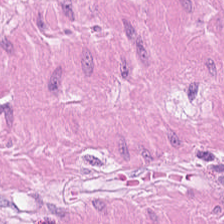Whole-slide-image patch; H&E-stained tissue section; 0.5 microns per pixel. Finding → smooth muscle.
